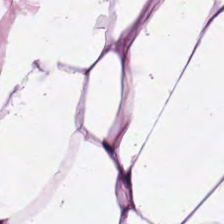H&E stain. Tissue class: fat tissue.
